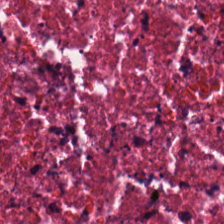Hematoxylin and eosin — Impression — debris.
